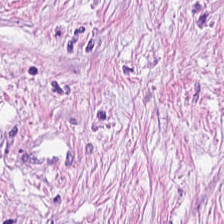Formalin-fixed paraffin-embedded section; hematoxylin and eosin — Tissue class = tumor-associated stroma.
